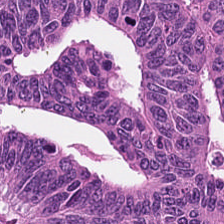Brightfield · formalin-fixed paraffin-embedded section · H&E stain. Impression — malignant epithelium.
